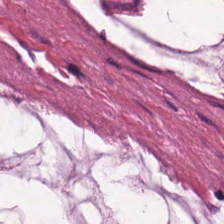H&E-stained tissue section — Showing mucus.
